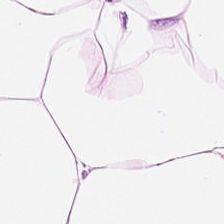Hematoxylin and eosin. The predominant tissue is adipose tissue.
